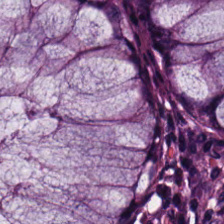H&E-stained tissue section; 0.5 microns per pixel; 224×224 px tile — Showing normal colonic mucosa.
